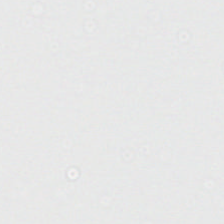H&E-stained tissue section.
No tissue present; background only.
